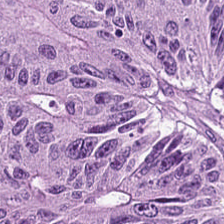Formalin-fixed paraffin-embedded section. Hematoxylin and eosin. Q: What tissue is shown?
A: This is malignant epithelium.
